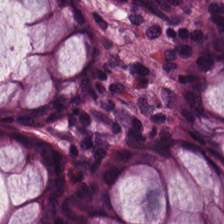H&E stain — The predominant tissue is non-neoplastic colon mucosa.
